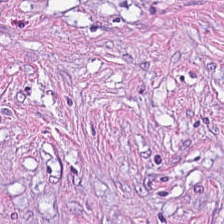H&E. Desmoplastic stroma.
